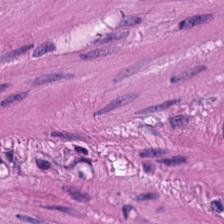H&E · 0.5 microns per pixel.
The predominant tissue is muscularis.
